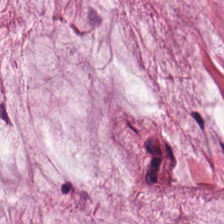H&E. FFPE. Brightfield.
Q: What is shown in this field?
A: The field shows mucus.
